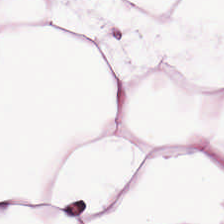Hematoxylin and eosin.
Q: What tissue type is shown here?
A: Adipocytes.
